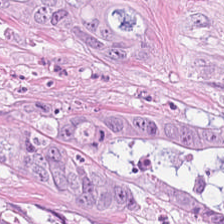H&E-stained tissue section.
Q: Classify this patch.
A: The field shows tumor epithelium.
